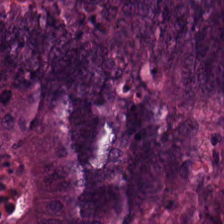H&E stain. 224×224 pixel tile.
Predominantly adenocarcinoma.
